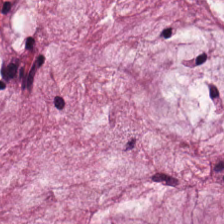Hematoxylin and eosin; whole-slide-image patch.
This patch shows mucin.
